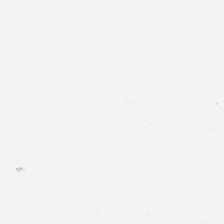H&E-stained tissue section · FFPE tissue section · 0.5 microns per pixel — Q: What is shown here?
A: The field shows empty background.
